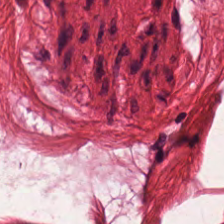H&E stain; 224×224 pixel tile — The tissue here is smooth muscle.
